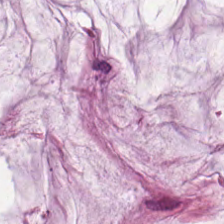H&E. Q: Identify the tissue.
A: This is mucus.
